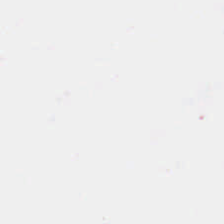0.5 µm/px. H&E-stained tissue section. Background — no tissue in this field.
